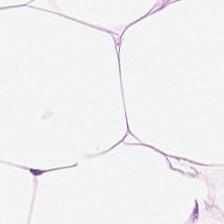H&E. FFPE — The predominant tissue is adipocytes.
